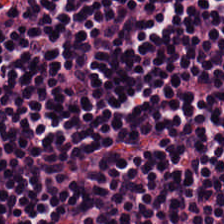H&E-stained tissue section · 0.5 microns per pixel · whole-slide-image patch. Q: Classify this patch.
A: This is lymphoid infiltrate.
